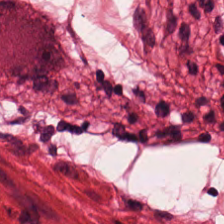Hematoxylin-and-eosin stained section.
Tissue — smooth-muscle tissue.
